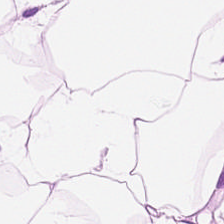Impression → fat tissue.
